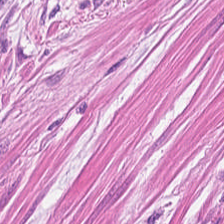This patch shows muscularis.
